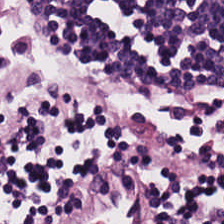Hematoxylin-and-eosin stained section; formalin-fixed paraffin-embedded section — Lymphocytes.
